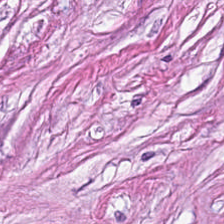H&E stain — The tissue here is cancer-associated stroma.
